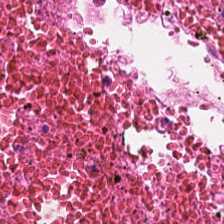Stain: hematoxylin and eosin.
Predominant tissue: necrotic debris.
